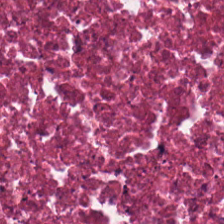Q: What type of tissue is this?
A: It is cellular debris.
